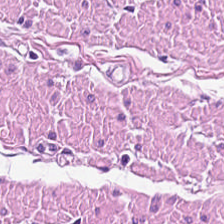Muscularis.
